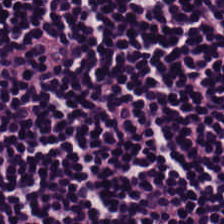Impression — lymphocyte aggregate.
